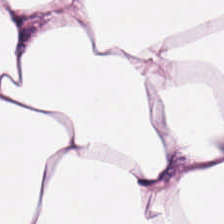Hematoxylin and eosin — The predominant tissue is adipocytes.
